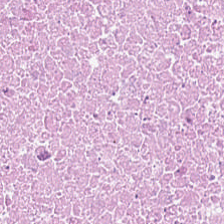Hematoxylin-and-eosin stained section. 224×224 px tile. FFPE.
Tissue type = cellular debris.
